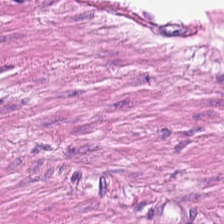Q: What is shown in this field?
A: This is smooth-muscle tissue.
